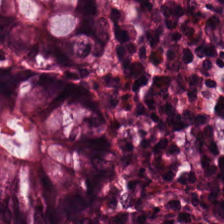Hematoxylin-and-eosin stained section — This field is benign colonic mucosa.
